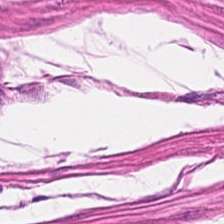Hematoxylin and eosin. {"tissue_type": "smooth-muscle tissue"}
